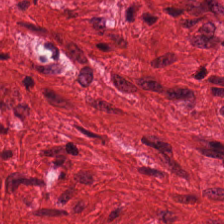224×224 px patch; H&E — Q: What tissue type is shown here?
A: Smooth-muscle tissue.
